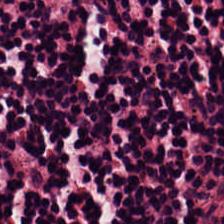Stain: H&E stain.
Tile size: 224×224 px patch.
Tissue type: lymphoid infiltrate.
